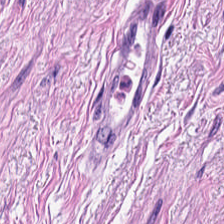0.5 µm/px. FFPE tissue section. H&E stain.
Classification: smooth muscle.
